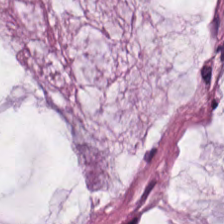224×224 pixel tile; H&E stain. Showing mucin.
